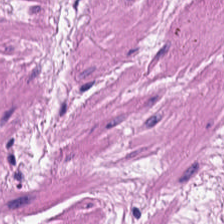Brightfield · H&E-stained tissue section — The classification is smooth-muscle tissue.
